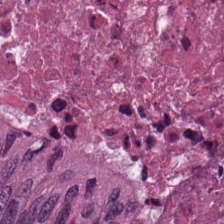Hematoxylin and eosin. Tissue class = debris.
